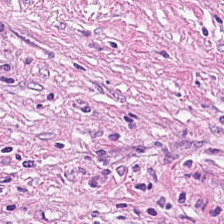Hematoxylin and eosin — Classification: tumor-associated stroma.
